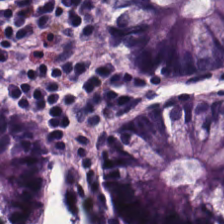Formalin-fixed paraffin-embedded section · H&E-stained tissue section · 0.5 µm/px — Q: What is shown here?
A: Normal colonic mucosa.
